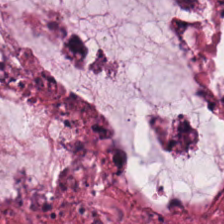H&E-stained tissue section. Predominantly mucin.
